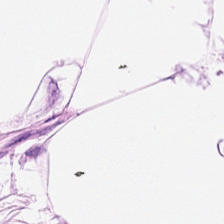FFPE tissue section · H&E stain · 224×224 px tile.
The tissue type is adipose.
